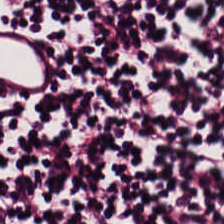H&E. Q: Classify this patch.
A: Lymphoid infiltrate.
